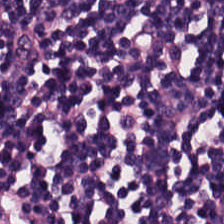Stain: H&E stain.
Classification: lymphoid infiltrate.
